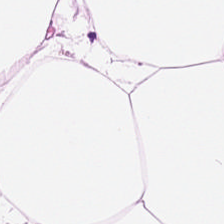Formalin-fixed paraffin-embedded section; 0.5 microns per pixel; H&E-stained tissue section. Finding → adipose tissue.
